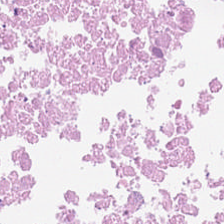Hematoxylin and eosin. The tissue here is debris.
